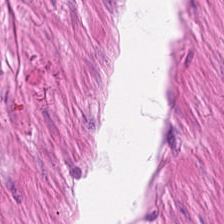224×224 px patch · 0.5 µm/px · hematoxylin and eosin. Tissue class: muscularis.
